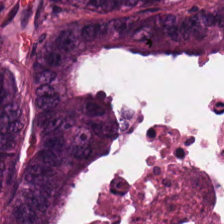Hematoxylin and eosin · 224×224 px patch — This field is adenocarcinoma.
